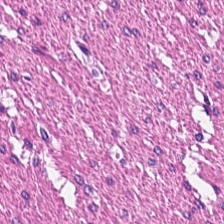224×224 px tile · H&E stain.
Q: What does this patch show?
A: It is smooth muscle.
